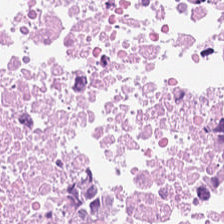Tissue type = debris.
